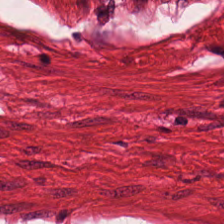The predominant tissue is smooth muscle.
